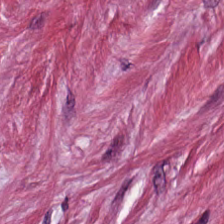H&E-stained tissue section. Showing cancer-associated stroma.
